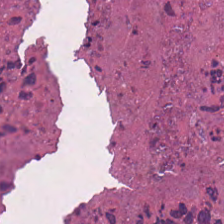Hematoxylin-and-eosin stained section. Whole-slide-image patch. Q: Identify the tissue.
A: This is necrotic debris.
